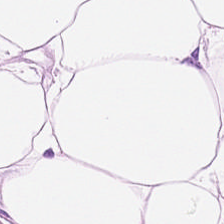Adipose.
